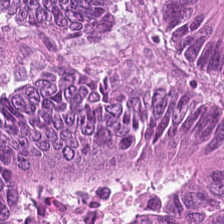Hematoxylin-and-eosin stained section. Q: Classify this patch.
A: This is malignant epithelium.
